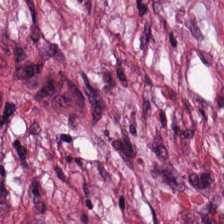Hematoxylin and eosin — Histology — desmoplastic stroma.
